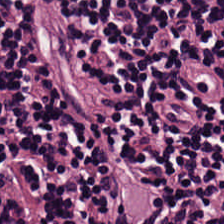Hematoxylin and eosin.
The predominant tissue is lymphocytic infiltrate.
